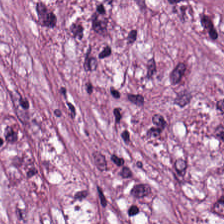H&E stain. Brightfield microscopy. 224×224 px tile. The predominant tissue is desmoplastic stroma.
